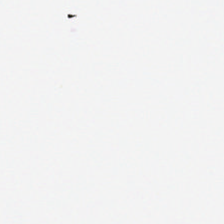The content is background (no tissue).
